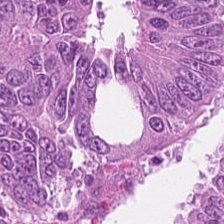H&E. 0.5 µm/px — This field is malignant epithelium.
